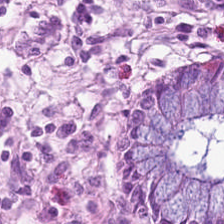The tissue is non-neoplastic colon mucosa.
